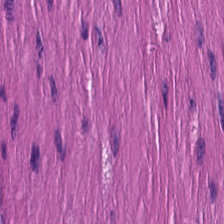H&E stain — This patch shows smooth-muscle tissue.
